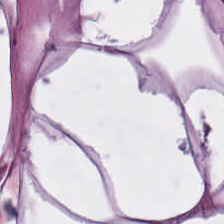Classification = adipocytes.
